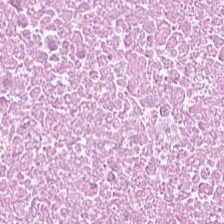Formalin-fixed paraffin-embedded section · hematoxylin-and-eosin stained section.
Impression — cellular debris.
